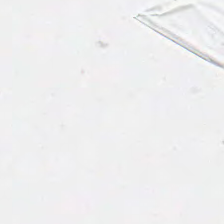H&E-stained tissue section.
Finding → empty background.
